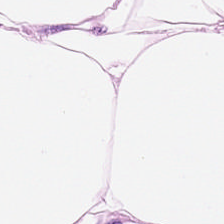Hematoxylin and eosin — Predominantly adipose.
